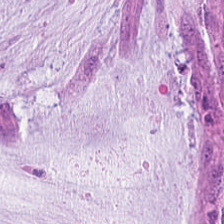Impression — mucin.
